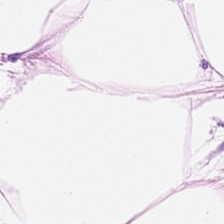Hematoxylin and eosin · FFPE · 0.5 microns per pixel.
Impression — adipocytes.
